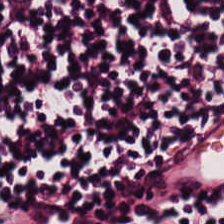0.5 µm per pixel. H&E — Finding — lymphocytic infiltrate.
